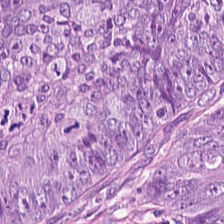0.5 microns per pixel. WSI patch. Hematoxylin and eosin — Tissue class — tumor epithelium.
